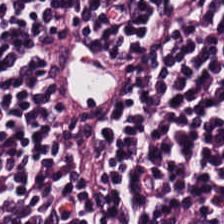This patch shows lymphoid infiltrate.
